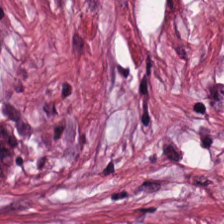H&E. FFPE. WSI patch.
Q: Classify this patch.
A: The field shows tumor-associated stroma.
